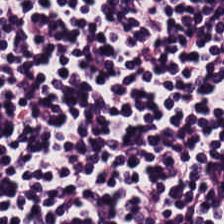H&E-stained tissue section.
Q: What tissue type is shown here?
A: The field shows lymphoid infiltrate.
